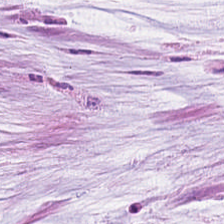Formalin-fixed paraffin-embedded section. 224×224 px tile. H&E-stained tissue section.
Showing extracellular mucin.
